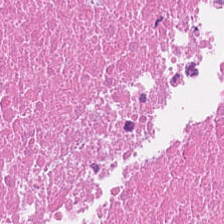Brightfield microscopy; H&E. Tissue: cellular debris.
